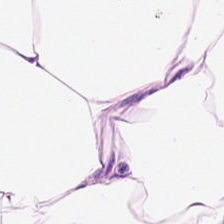H&E stain — Predominantly fat tissue.
